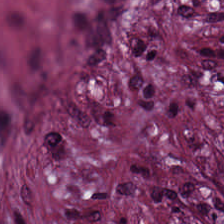H&E.
Classification — tumor stroma.
